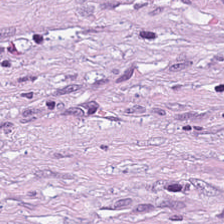H&E — This patch shows tumor-associated stroma.
